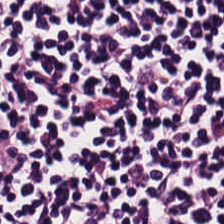Tissue type — lymphoid infiltrate.
